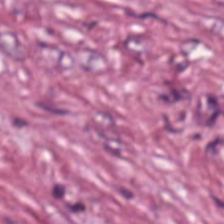The tissue class is desmoplastic stroma.
